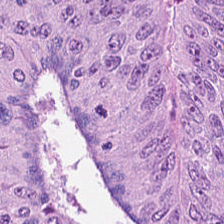{"tissue_type": "colorectal adenocarcinoma epithelium"}
